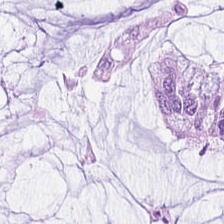H&E — This field is mucus.
